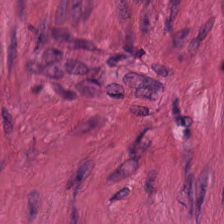{"tissue_type": "smooth muscle"}
